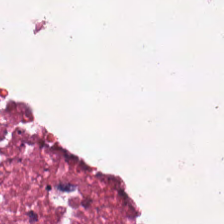Debris.
